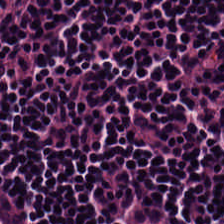H&E-stained tissue section.
The tissue here is lymphoid infiltrate.
